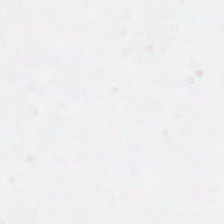Classification: no tissue.
